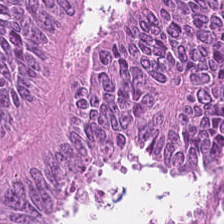Hematoxylin and eosin. Showing colorectal adenocarcinoma epithelium.
